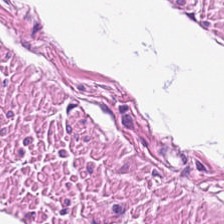Q: Identify the tissue.
A: The field shows muscularis.
